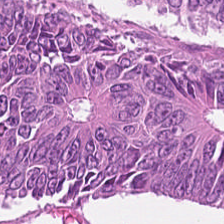Stain: H&E.
Predominant tissue: colorectal adenocarcinoma epithelium.
